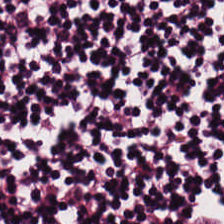H&E stain — Histology → lymphocyte aggregate.
